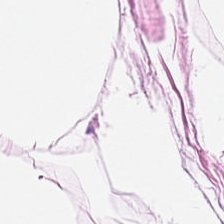Hematoxylin-and-eosin stained section.
Adipose tissue.
